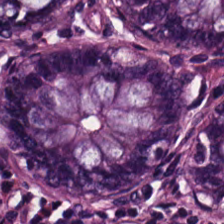Hematoxylin-and-eosin section: benign colonic mucosa.
